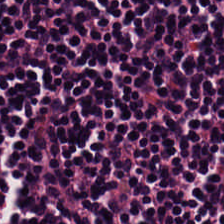{"tissue_type": "lymphoid infiltrate"}
